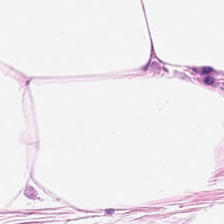Stain: H&E.
Tissue class: adipose.
